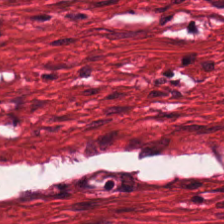Hematoxylin-and-eosin stained section. 20× equivalent magnification. Smooth muscle.
